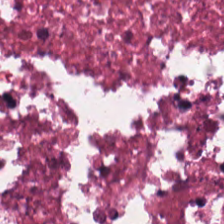224×224 px patch. H&E.
The predominant tissue is cellular debris.
